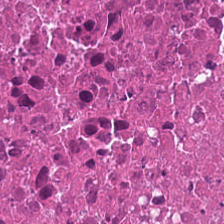H&E — debris.
